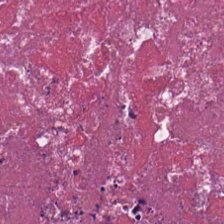H&E-stained tissue section. 224×224 pixel tile. {"tissue_type": "cellular debris"}
